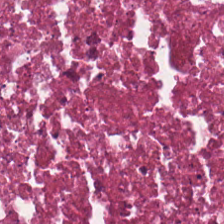0.5 microns per pixel. Formalin-fixed paraffin-embedded section. H&E stain.
Q: Identify the tissue.
A: It is debris.
